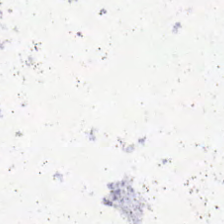Hematoxylin-and-eosin stained section — Background.
